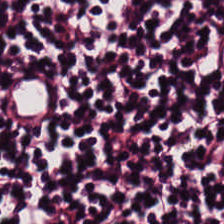Hematoxylin-and-eosin stained section.
Showing lymphocyte aggregate.
